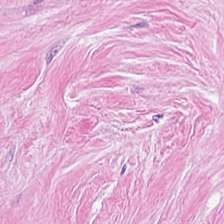Brightfield microscopy. Hematoxylin-and-eosin stained section.
This field is tumor stroma.
